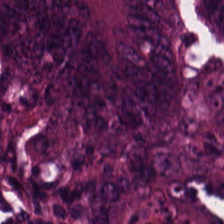Hematoxylin-and-eosin stained section — Q: What tissue is shown?
A: It is adenocarcinoma.
